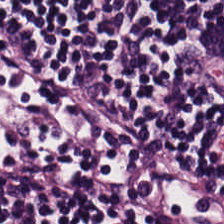Q: What tissue type is shown here?
A: The field shows lymphocyte aggregate.
